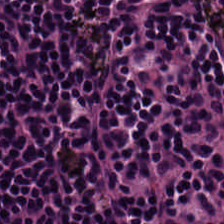Formalin-fixed paraffin-embedded section; H&E-stained tissue section — Q: What tissue is shown?
A: This is lymphoid infiltrate.
